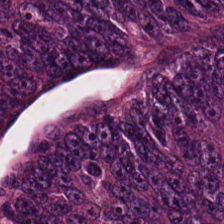Tissue class: colorectal adenocarcinoma epithelium.
